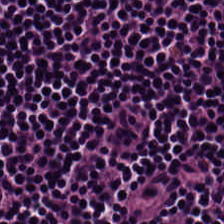H&E-stained tissue section — The predominant tissue is lymphocytic infiltrate.
